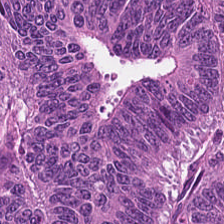Q: Classify this patch.
A: Colorectal adenocarcinoma.
